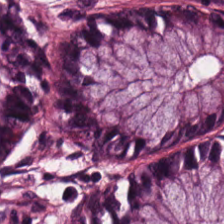Hematoxylin-and-eosin stained section.
The tissue here is normal colonic mucosa.
